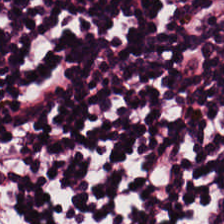224×224 pixel tile; H&E-stained tissue section.
Lymphocytic infiltrate.
